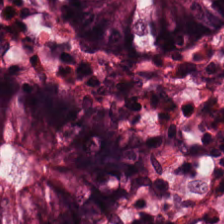H&E stain. 20× equivalent magnification — Impression — normal colon mucosa.
